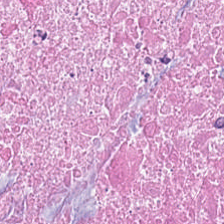Stain: hematoxylin and eosin.
Tissue type: necrotic debris.
